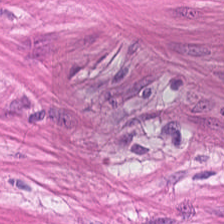H&E-stained tissue section showing smooth muscle.
